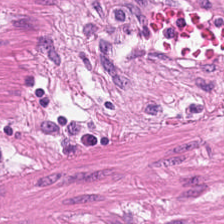224×224 pixel tile; H&E-stained tissue section — Q: Classify this patch.
A: It is smooth-muscle tissue.
